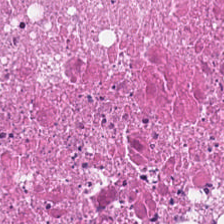H&E-stained tissue section. 224×224 px patch.
Tissue: necrotic debris.
